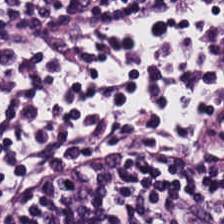H&E. Q: Identify the tissue.
A: The field shows lymphoid infiltrate.
